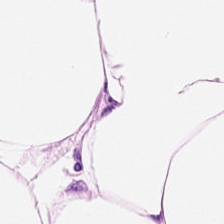H&E stain — Q: What tissue type is shown here?
A: This is fat tissue.
